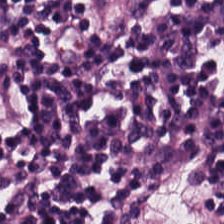H&E stain — Predominantly lymphocytes.
